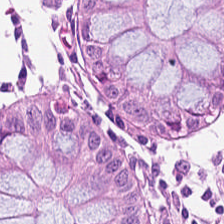H&E-stained tissue section — Normal colon mucosa.
